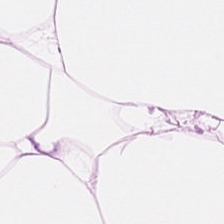H&E stain · 0.5 microns per pixel. Showing adipocytes.
